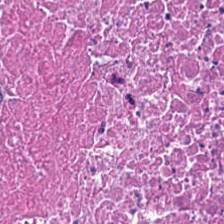Tissue type — debris.
